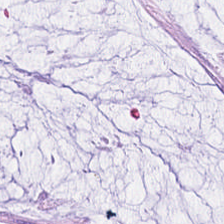Brightfield microscopy; H&E-stained tissue section; formalin-fixed paraffin-embedded section. Extracellular mucin.
